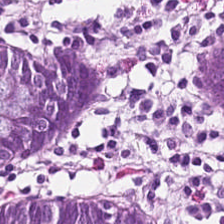H&E stain. Showing benign colonic mucosa.
